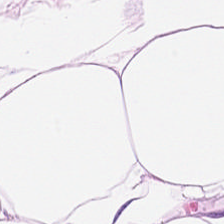Hematoxylin and eosin. Q: What tissue type is shown here?
A: Adipose tissue.
